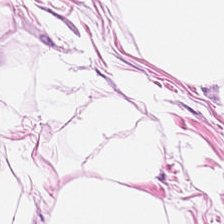Hematoxylin-and-eosin stained section. Q: Identify the tissue.
A: It is adipose.
